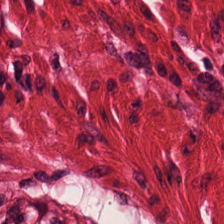H&E stain — The predominant tissue is muscularis.
